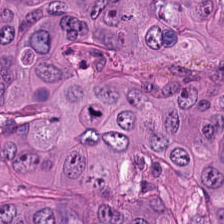Hematoxylin and eosin · 0.5 microns per pixel · FFPE.
Showing malignant epithelium.
